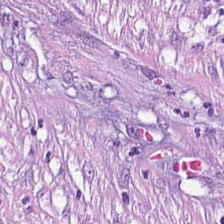H&E-stained tissue section. Q: What is shown in this field?
A: The field shows cancer-associated stroma.
